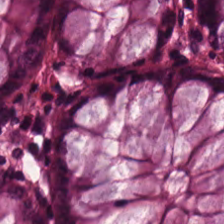224×224 px patch. H&E-stained tissue section. Whole-slide-image patch.
Normal colon mucosa.
